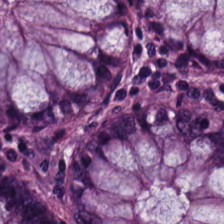Hematoxylin and eosin.
Q: What is shown here?
A: It is non-neoplastic colon mucosa.
